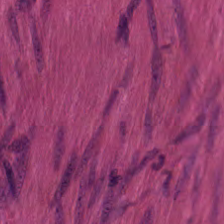H&E stain.
{"tissue_type": "smooth-muscle tissue"}
